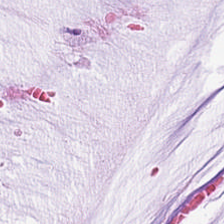Stain: H&E-stained tissue section.
Preparation: FFPE.
Tile size: 224×224 px patch.
Tissue class: mucin.
